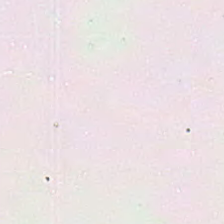H&E-stained tissue section · FFPE tissue section · 0.5 µm per pixel — {"content": "background (no tissue)"}
